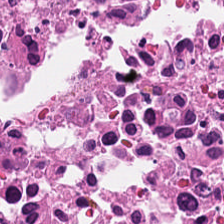Stain: H&E stain.
Tissue type: necrotic debris.
